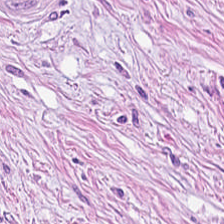Hematoxylin and eosin · 224×224 px patch — Predominantly desmoplastic stroma.
